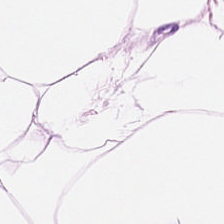0.5 microns per pixel. 224×224 px tile. Hematoxylin and eosin.
Tissue class — adipocytes.
